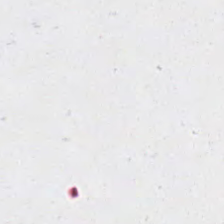H&E-stained tissue section; formalin-fixed paraffin-embedded section.
Background — no tissue in this field.
